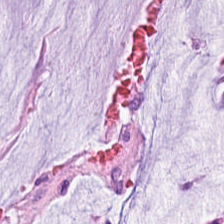20× equivalent magnification. 224×224 px patch. H&E-stained tissue section — {"tissue_type": "mucin"}
